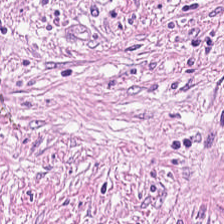H&E stain. {"tissue_type": "tumor stroma"}
